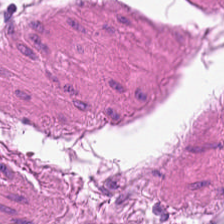H&E stain.
Q: What is shown in this field?
A: This is smooth muscle.
